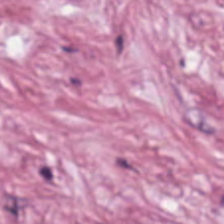The tissue class is cancer-associated stroma.
